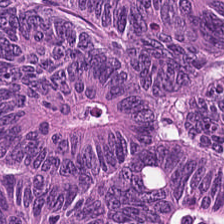Classification = malignant epithelium.
